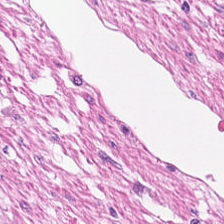Classification: muscularis.
